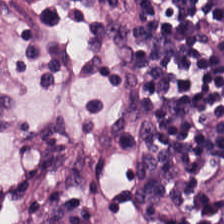{"tissue_type": "lymphocyte aggregate"}
